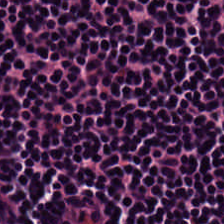H&E · formalin-fixed paraffin-embedded section. Tissue — lymphocyte aggregate.
